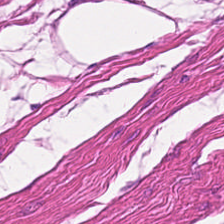Q: What is shown here?
A: Smooth-muscle tissue.
